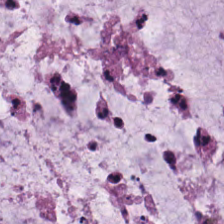Hematoxylin and eosin — Q: What tissue type is shown here?
A: Mucin.
